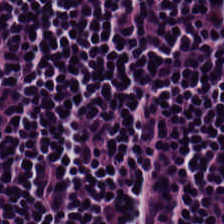Tissue class: lymphocyte aggregate.
